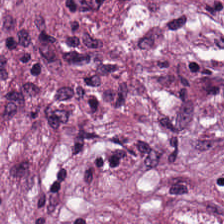Impression → tumor-associated stroma.
